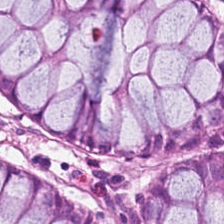WSI patch; H&E; 224×224 px tile — Q: What tissue type is shown here?
A: The field shows non-neoplastic colon mucosa.
